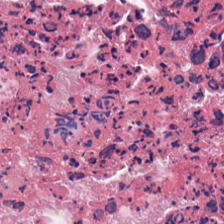Hematoxylin and eosin.
The predominant tissue is cellular debris.
